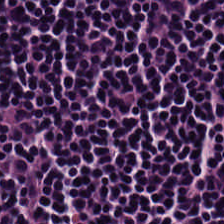Hematoxylin-and-eosin stained section. Predominantly lymphoid infiltrate.
